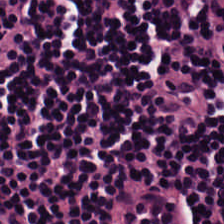Stain: H&E stain.
Acquisition: brightfield microscopy.
Tissue: lymphocytes.
